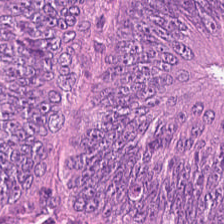Stain: H&E.
Tissue: adenocarcinoma.
